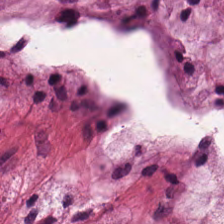Stain: H&E.
Tissue class: mucus.
